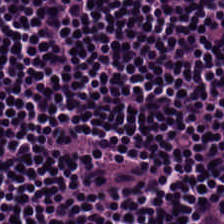0.5 µm/px. Whole-slide-image patch. H&E stain.
Q: What type of tissue is this?
A: The field shows lymphocytic infiltrate.
